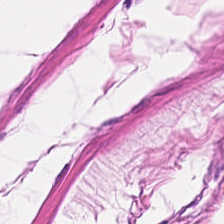Hematoxylin-and-eosin section: smooth muscle.
